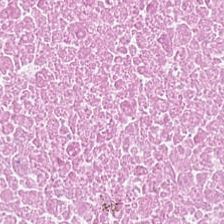H&E stain. Showing necrotic debris.
